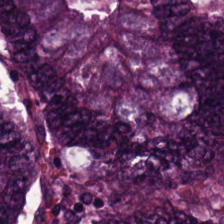Hematoxylin-and-eosin stained section. FFPE tissue section — Q: What does this patch show?
A: It is colorectal adenocarcinoma.
